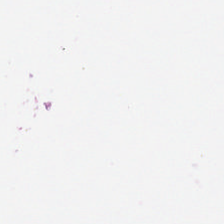Brightfield microscopy. H&E stain.
This patch shows no tissue.
